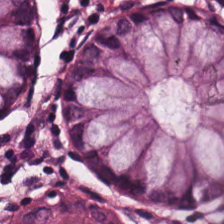FFPE tissue section. Hematoxylin and eosin — Normal colon mucosa.
